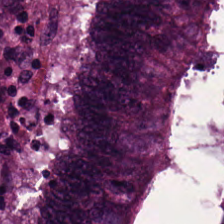H&E-stained tissue section. The tissue here is tumor epithelium.
